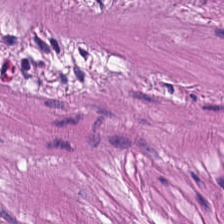Stain: H&E stain.
Resolution: 0.5 µm per pixel.
Tissue: smooth-muscle tissue.
